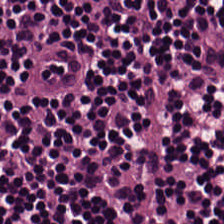Stain: H&E-stained tissue section.
Acquisition: brightfield microscopy.
Classification: lymphocytes.
